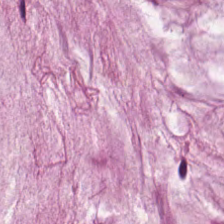H&E. Formalin-fixed paraffin-embedded section. 0.5 µm/px. The tissue here is mucus.
